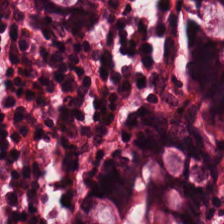Hematoxylin and eosin.
This field is normal colon mucosa.
